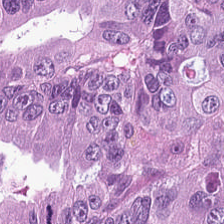Brightfield · H&E · 0.5 µm per pixel — The tissue here is colorectal adenocarcinoma.
